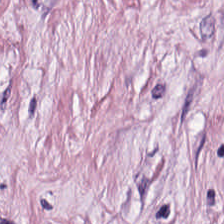Hematoxylin-and-eosin stained section — This field is desmoplastic stroma.
